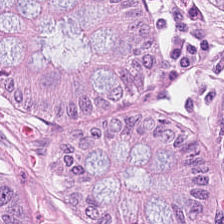H&E-stained tissue section — The tissue is normal colonic mucosa.
